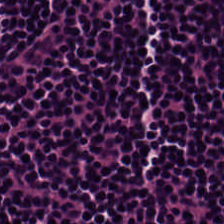FFPE tissue section · brightfield · H&E stain. This field is lymphocytic infiltrate.
